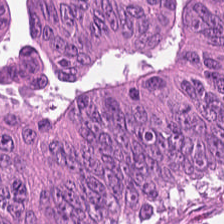H&E-stained tissue section · 224×224 pixel tile · WSI patch. Showing tumor epithelium.
